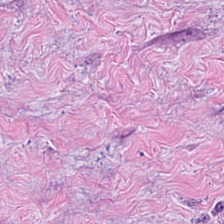Q: Classify this patch.
A: Desmoplastic stroma.
